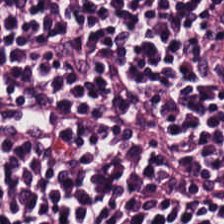This field is lymphoid infiltrate.
